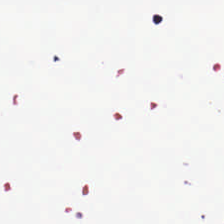Hematoxylin and eosin; 20× equivalent magnification; 224×224 px tile — Q: Classify this patch.
A: The field shows background (no tissue).
